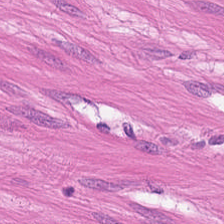H&E. Brightfield. 0.5 µm per pixel.
Predominantly smooth-muscle tissue.
